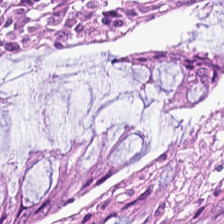224×224 pixel tile; hematoxylin-and-eosin stained section — Q: What does this patch show?
A: The field shows normal colon mucosa.
